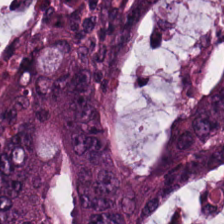Hematoxylin and eosin. Whole-slide-image patch.
Q: What tissue is shown?
A: The field shows colorectal adenocarcinoma epithelium.
